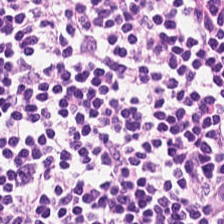Q: What tissue type is shown here?
A: It is lymphoid infiltrate.
